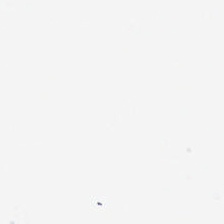FFPE. Hematoxylin and eosin.
Histology — no tissue.
